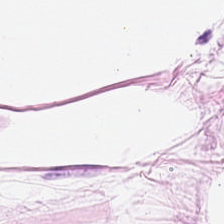Hematoxylin-and-eosin stained section. This field is adipose tissue.
